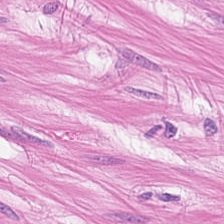H&E. Tissue class: smooth-muscle tissue.
